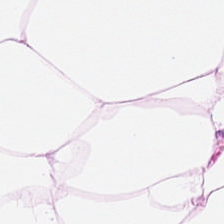The tissue here is adipose.
